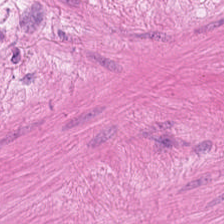H&E; 224×224 pixel tile.
This field is muscularis.
